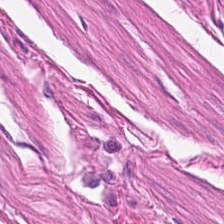H&E stain; 224×224 px tile.
Histology — smooth-muscle tissue.
